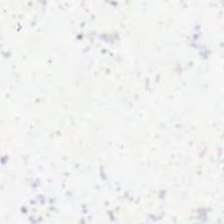Stain: hematoxylin and eosin.
Classification: background (no tissue).
